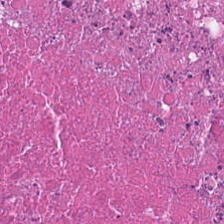224×224 pixel tile. H&E stain — Tissue type = necrotic debris.
